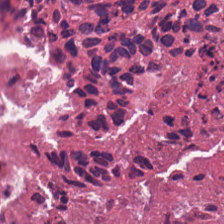20× equivalent magnification; FFPE; H&E stain. Finding — debris.
